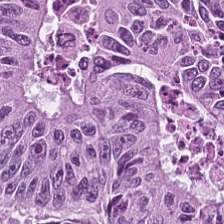Hematoxylin and eosin; 20× equivalent magnification. The tissue class is colorectal adenocarcinoma.
